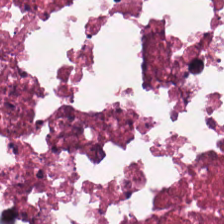H&E · 0.5 microns per pixel · WSI patch — Necrotic debris.
